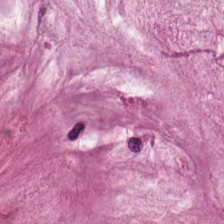Stain: hematoxylin-and-eosin stained section.
Preparation: FFPE tissue section.
Acquisition: brightfield microscopy.
Tissue: extracellular mucin.
